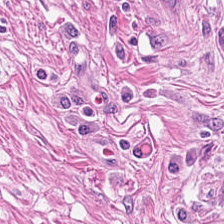0.5 microns per pixel · H&E stain — This field is smooth muscle.
